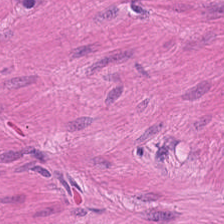224×224 pixel tile · FFPE tissue section · H&E — Q: What is the predominant tissue type?
A: Muscularis.
